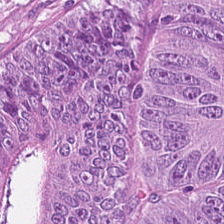Predominant tissue: adenocarcinoma.
